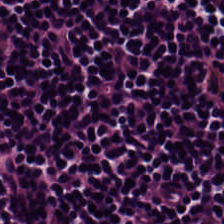Stain: H&E stain.
Predominant tissue: lymphocyte aggregate.
